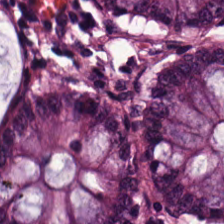Formalin-fixed paraffin-embedded section. H&E — Normal colon mucosa.
